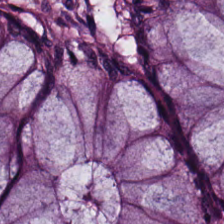224×224 px tile; H&E stain — Normal colonic mucosa.
